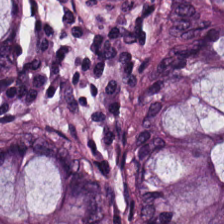Predominantly benign colonic mucosa.
